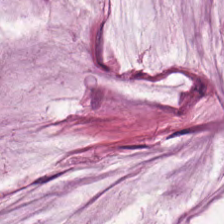Classification = mucin.
